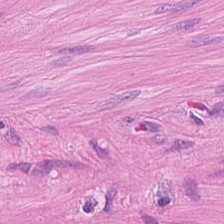Muscularis.
